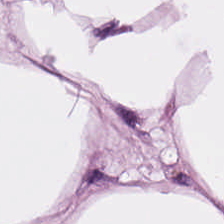20× equivalent magnification. H&E stain — This patch shows fat tissue.
